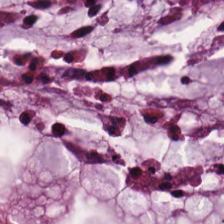Stain: H&E.
Tissue type: mucin.
